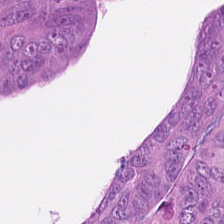H&E stain.
{"tissue_type": "adenocarcinoma"}
